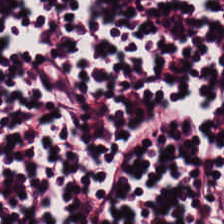Histology — lymphoid infiltrate.
